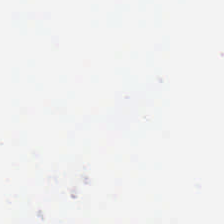H&E stain · FFPE — Classification: background (no tissue).
